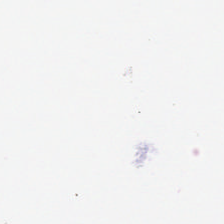Hematoxylin-and-eosin stained section.
{"content": "background"}
